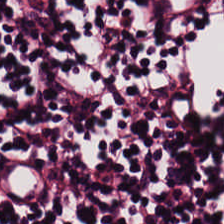The predominant tissue is lymphoid infiltrate.
